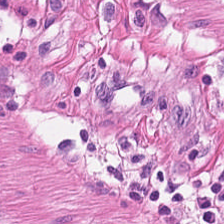Hematoxylin and eosin. Q: What tissue is shown?
A: Smooth-muscle tissue.
